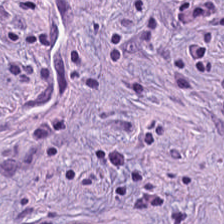FFPE; H&E stain.
Q: What is shown in this field?
A: It is tumor-associated stroma.
